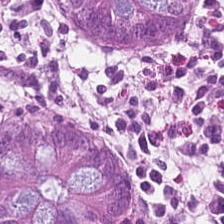Stain: hematoxylin-and-eosin stained section.
Tissue class: non-neoplastic colon mucosa.
